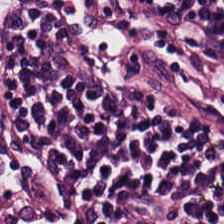20× equivalent magnification. Brightfield microscopy. H&E-stained tissue section.
Q: What tissue type is shown here?
A: It is lymphoid infiltrate.
